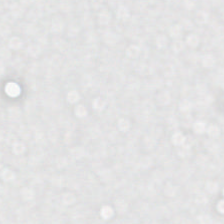H&E-stained tissue section — Histology → empty background.
